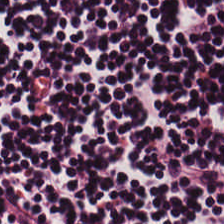H&E-stained tissue section.
Q: What type of tissue is this?
A: The field shows lymphocyte aggregate.
